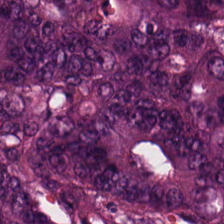Stain: H&E-stained tissue section.
Predominant tissue: colorectal adenocarcinoma epithelium.
